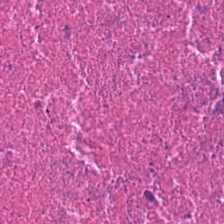H&E stain — This patch shows necrotic debris.
